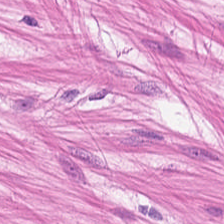Hematoxylin-and-eosin stained section. 224×224 px patch.
Q: What is shown in this field?
A: It is smooth muscle.
